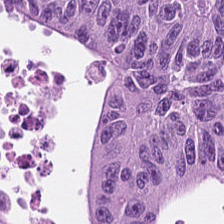H&E-stained tissue section — Tissue type = colorectal adenocarcinoma epithelium.
